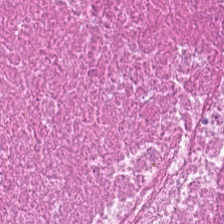Stain: H&E.
Resolution: 0.5 µm/px.
Tissue: necrotic debris.
